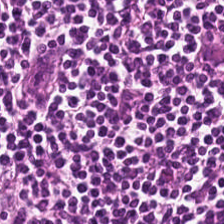Hematoxylin-and-eosin stained section. Tissue type: lymphocyte aggregate.
